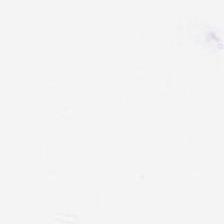H&E · 0.5 µm/px. Content — background (no tissue).
